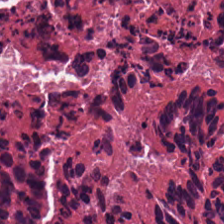H&E stain · FFPE tissue section · WSI patch.
The predominant tissue is debris.
